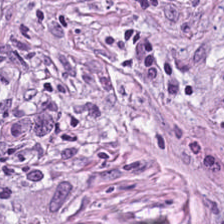224×224 px patch · 20× equivalent magnification · H&E stain. The predominant tissue is cancer-associated stroma.
